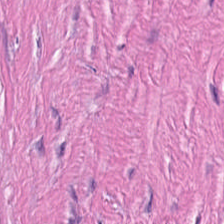Impression — desmoplastic stroma.
